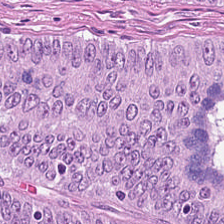Hematoxylin-and-eosin stained section — The tissue here is adenocarcinoma.
